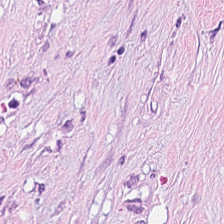Hematoxylin-and-eosin stained section. Q: What tissue type is shown here?
A: This is desmoplastic stroma.
